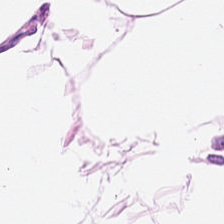H&E-stained tissue section — {"tissue_type": "adipocytes"}
